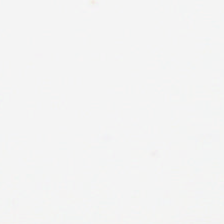H&E stain. FFPE tissue section. Background — no tissue in this field.
